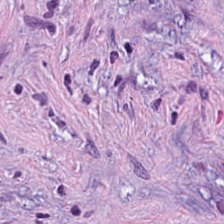0.5 µm per pixel; H&E. Tissue class — tumor-associated stroma.
